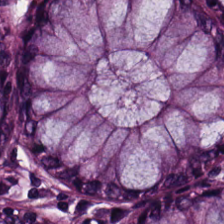Finding → non-neoplastic colon mucosa.
